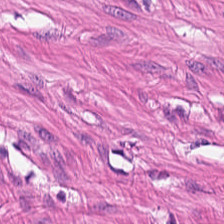H&E stain.
This patch shows smooth-muscle tissue.
